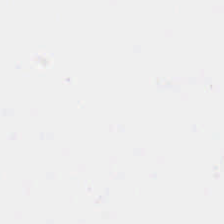Impression → no tissue.
